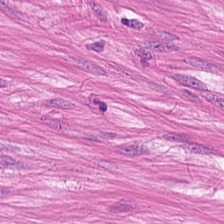FFPE tissue section · H&E · 224×224 px patch — Q: What is the predominant tissue type?
A: Smooth muscle.
